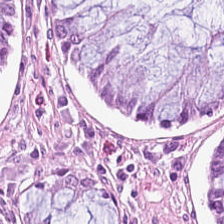H&E; whole-slide-image patch; 224×224 px tile. Histology — normal colon mucosa.
